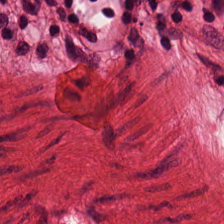Stain: hematoxylin-and-eosin stained section.
Preparation: formalin-fixed paraffin-embedded section.
Predominant tissue: smooth-muscle tissue.
